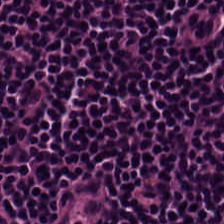Stain: hematoxylin and eosin.
Classification: lymphocytic infiltrate.
